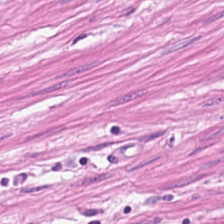Predominantly smooth muscle.
